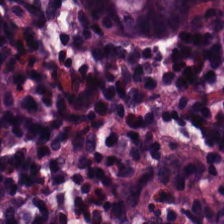This patch shows non-neoplastic colon mucosa.
